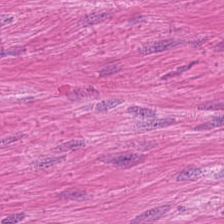H&E-stained tissue section.
Histology — smooth-muscle tissue.
